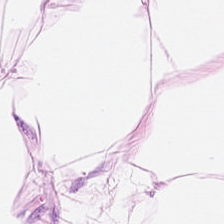The tissue here is adipocytes.
